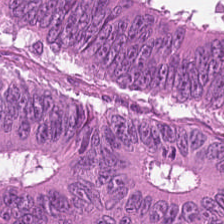224×224 px tile · H&E stain — Showing malignant epithelium.
